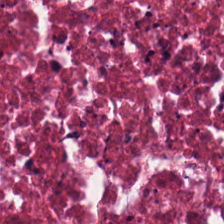Stain: H&E stain.
Tissue type: cellular debris.
